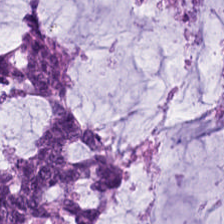Predominant tissue — mucus.
